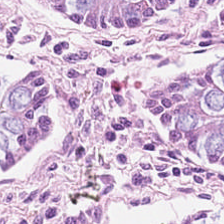Hematoxylin-and-eosin stained section — Q: Classify this patch.
A: It is normal colonic mucosa.
